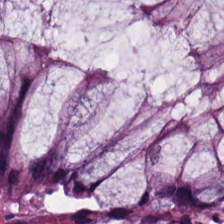H&E; 224×224 px tile. Q: What type of tissue is this?
A: Normal colon mucosa.
